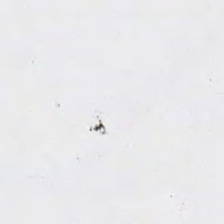Hematoxylin-and-eosin stained section. WSI patch — Field content: empty background.
